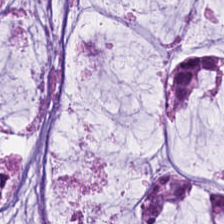Histology — extracellular mucin.
